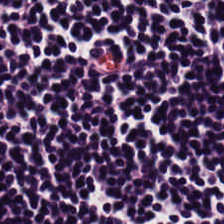224×224 pixel tile. Hematoxylin-and-eosin stained section. Q: What tissue is shown?
A: Lymphocytes.
